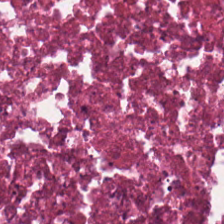Hematoxylin and eosin — Necrotic debris.
